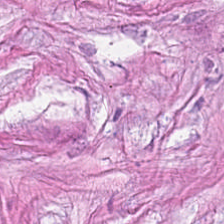Hematoxylin and eosin — Tissue type: tumor-associated stroma.
